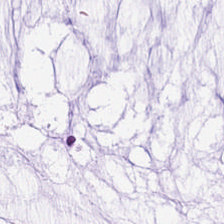The predominant tissue is extracellular mucin.
